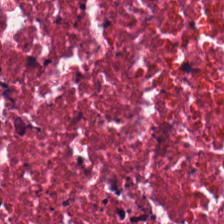Stain: hematoxylin and eosin.
Preparation: FFPE.
Tissue type: cellular debris.
